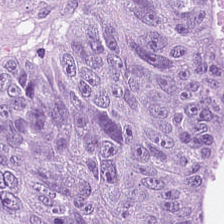H&E stain · brightfield — Q: What type of tissue is this?
A: It is tumor epithelium.
